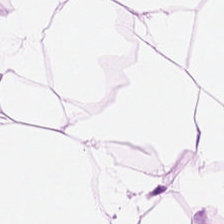H&E — This patch shows fat tissue.
